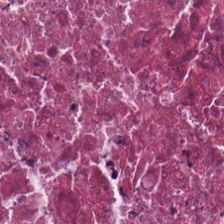H&E-stained tissue section · brightfield · FFPE.
The tissue here is cellular debris.
